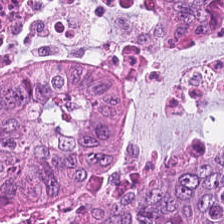Formalin-fixed paraffin-embedded section · H&E-stained tissue section.
This patch shows colorectal adenocarcinoma epithelium.
